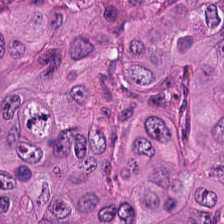This patch shows colorectal adenocarcinoma.
